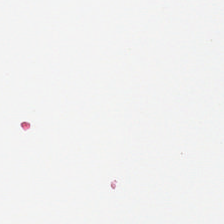This patch shows background (no tissue).
